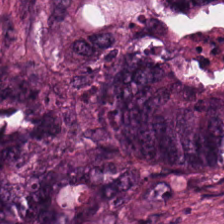20× equivalent magnification. 224×224 px patch. H&E stain — Showing malignant epithelium.
